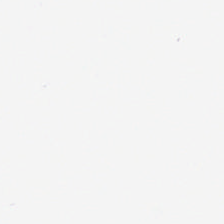H&E-stained tissue section. The field content is background (no tissue).
